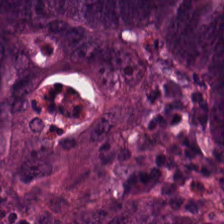0.5 microns per pixel. H&E stain — Histology — colorectal adenocarcinoma.
